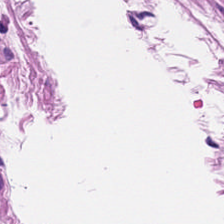Stain: H&E-stained tissue section.
Resolution: 0.5 µm/px.
Preparation: FFPE.
Predominant tissue: smooth muscle.
